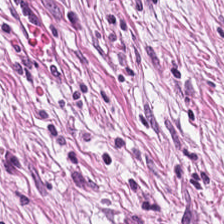Tissue — tumor stroma.
